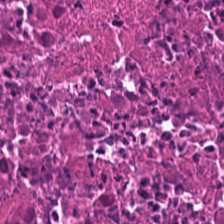Stain: H&E stain.
Tissue: necrotic debris.
